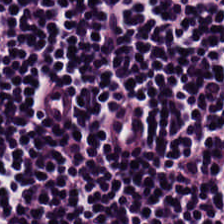H&E stain — Tissue class = lymphoid infiltrate.
